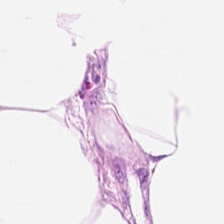H&E-stained tissue section. {"tissue_type": "adipose"}
